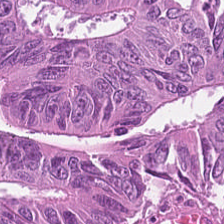H&E — Q: What is shown here?
A: This is colorectal adenocarcinoma.
